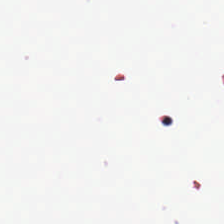Histology — no tissue.
